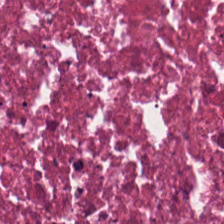H&E-stained tissue section. FFPE tissue section.
This patch shows debris.
